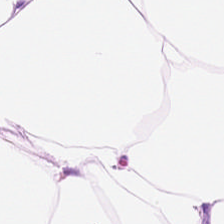Hematoxylin-and-eosin stained section; 0.5 µm/px; 224×224 px tile — {"tissue_type": "fat tissue"}
